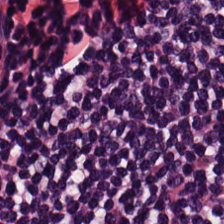{"tissue_type": "lymphoid infiltrate"}
